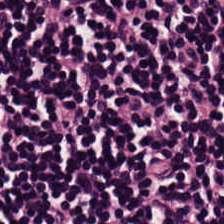H&E-stained tissue section; FFPE — The tissue here is lymphocyte aggregate.
